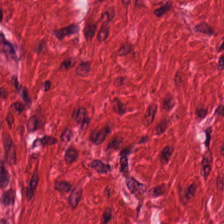H&E stain. Histology — smooth muscle.
